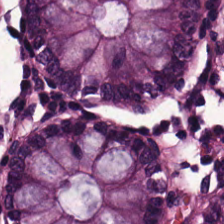Stain: hematoxylin-and-eosin stained section.
Resolution: 20× equivalent magnification.
Tissue class: benign colonic mucosa.
